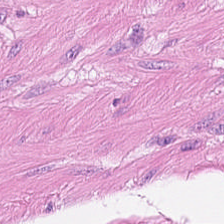Formalin-fixed paraffin-embedded section · 0.5 µm per pixel · hematoxylin and eosin.
This field is smooth-muscle tissue.
